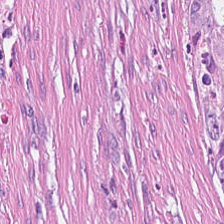H&E-stained tissue section; 224×224 pixel tile — Tissue = tumor-associated stroma.
